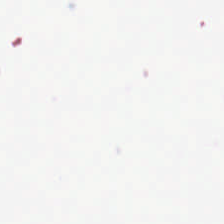Hematoxylin and eosin.
This field is background (no tissue).
